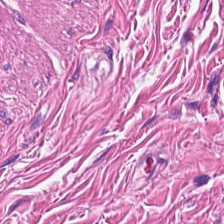224×224 px patch; H&E stain. Q: What is the predominant tissue type?
A: It is smooth muscle.
